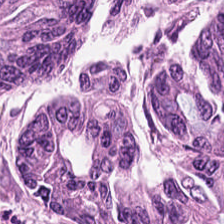0.5 microns per pixel. H&E.
The predominant tissue is adenocarcinoma.
